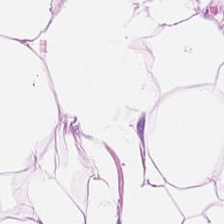The tissue class is adipocytes.
